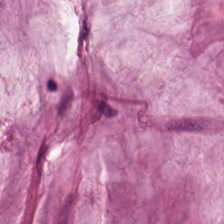Hematoxylin and eosin — Predominantly extracellular mucin.
